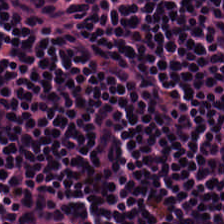Brightfield microscopy. Hematoxylin and eosin. 20× equivalent magnification — Tissue class: lymphoid infiltrate.
